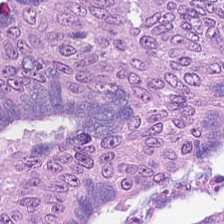This field is colorectal adenocarcinoma.
